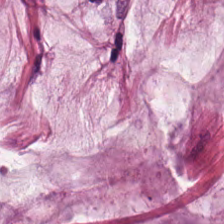H&E stain; 224×224 px patch; WSI patch. Tissue — mucus.
